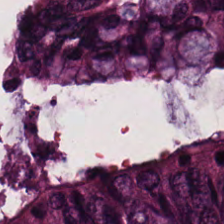224×224 pixel tile; H&E-stained tissue section.
The tissue type is colorectal adenocarcinoma.
